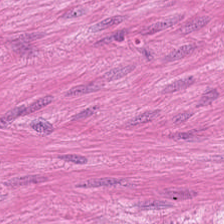H&E — Predominant tissue — smooth muscle.
